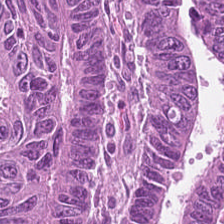Histology → tumor epithelium.
